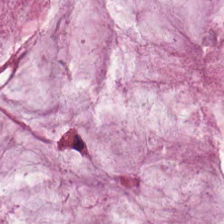Q: Identify the tissue.
A: This is mucus.
